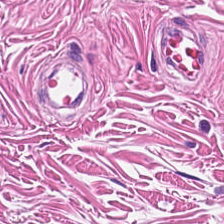This patch shows smooth-muscle tissue.
